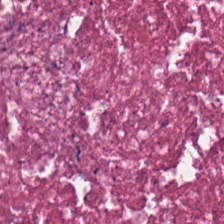H&E-stained tissue section.
This field is necrotic debris.
